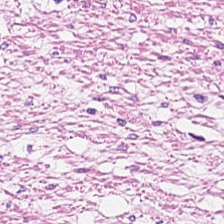Hematoxylin-and-eosin stained section — This field is muscularis.
